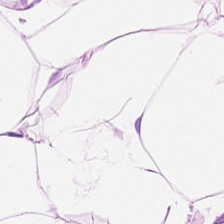Classification — adipose.
